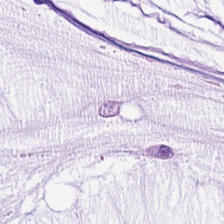H&E stain — This patch shows extracellular mucin.
